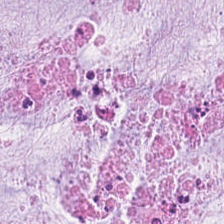H&E-stained tissue section; FFPE — Q: Identify the tissue.
A: The field shows extracellular mucin.
